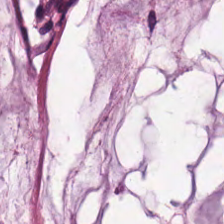H&E stain · brightfield · FFPE.
Impression → extracellular mucin.
